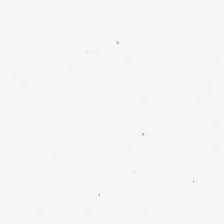Hematoxylin and eosin.
This patch shows background (no tissue).
